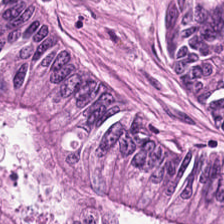WSI patch. H&E stain — Tissue: tumor epithelium.
